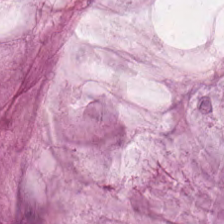Histology → mucus.
